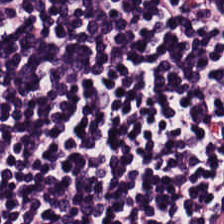Stain: hematoxylin and eosin.
Classification: lymphocytes.
